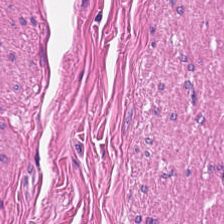Tissue type — smooth muscle.
